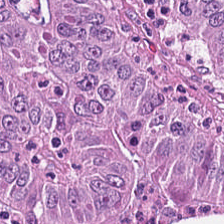H&E-stained tissue section. Q: What is shown in this field?
A: This is adenocarcinoma.
